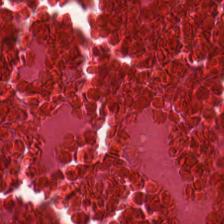Hematoxylin-and-eosin stained section.
Showing debris.
